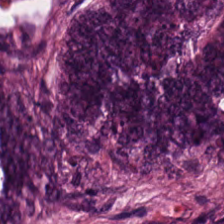Histology → malignant epithelium.
